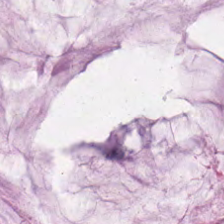Tissue type: mucus.
